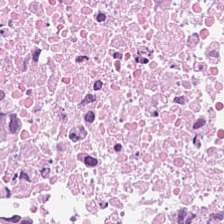Brightfield; H&E stain — Necrotic debris.
